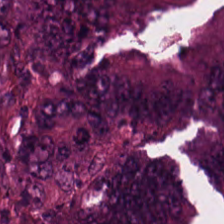H&E · brightfield.
This patch shows malignant epithelium.
